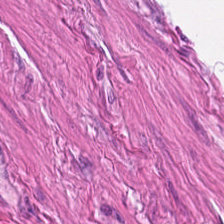20× equivalent magnification · 224×224 px patch · hematoxylin and eosin.
Predominant tissue: smooth muscle.
